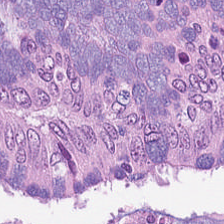Histology → colorectal adenocarcinoma epithelium.
